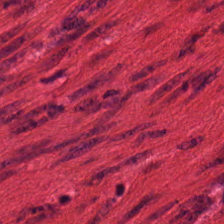Hematoxylin-and-eosin stained section — This field is muscularis.
